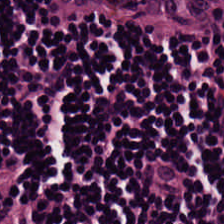H&E.
The predominant tissue is lymphocytes.
